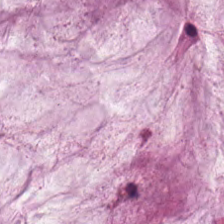FFPE tissue section. 0.5 µm per pixel. H&E stain — The predominant tissue is extracellular mucin.
